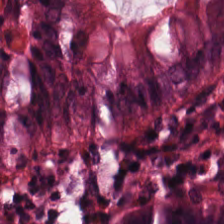This patch shows normal colon mucosa.
